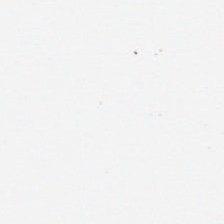H&E-stained tissue section — This field is background (no tissue).
